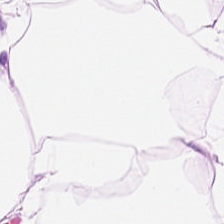224×224 pixel tile; H&E-stained tissue section; FFPE.
This patch shows adipose.
